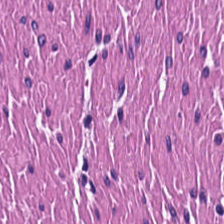H&E stain; brightfield.
Q: What is shown here?
A: The field shows muscularis.
